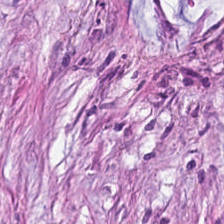Brightfield microscopy; hematoxylin-and-eosin stained section; 224×224 pixel tile. Finding — tumor stroma.
